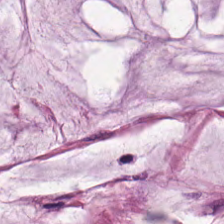Stain: H&E-stained tissue section.
Tissue class: mucus.
